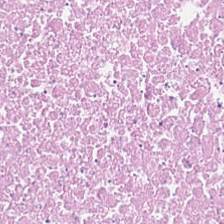Hematoxylin-and-eosin section: necrotic debris.
